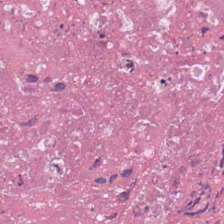H&E-stained tissue section. Predominant tissue — necrotic debris.
